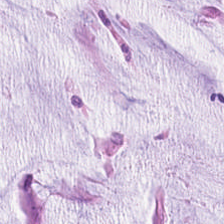FFPE tissue section; 224×224 pixel tile; H&E stain. Showing mucus.
